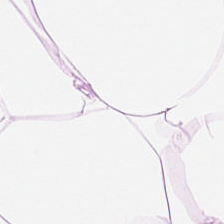Hematoxylin and eosin.
This patch shows adipose.
